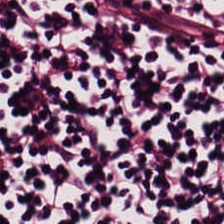Stain: hematoxylin and eosin.
Resolution: 20× equivalent magnification.
Predominant tissue: lymphocytes.
